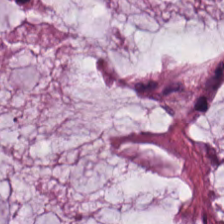Stain: H&E-stained tissue section.
Preparation: formalin-fixed paraffin-embedded section.
Resolution: 0.5 µm per pixel.
Tissue type: mucus.
